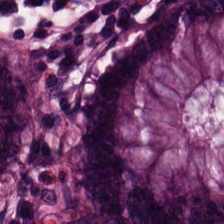224×224 pixel tile · hematoxylin and eosin. The tissue here is normal colon mucosa.
